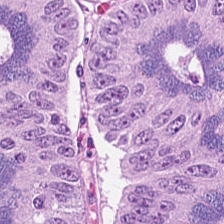Q: What is the predominant tissue type?
A: Colorectal adenocarcinoma epithelium.
